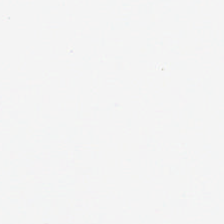H&E-stained tissue section; brightfield microscopy — Empty field — no tissue.
